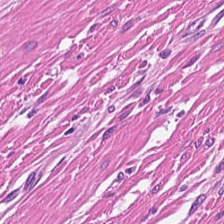Brightfield microscopy. 0.5 µm per pixel. Hematoxylin and eosin — Q: What does this patch show?
A: Smooth-muscle tissue.
